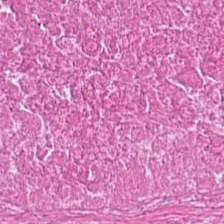Stain: hematoxylin and eosin.
Resolution: 20× equivalent magnification.
Tissue type: necrotic debris.
